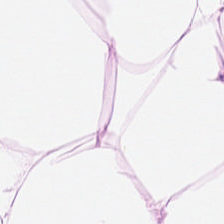H&E · 0.5 µm per pixel.
Impression — adipose tissue.
